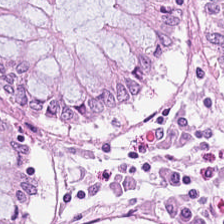FFPE tissue section · 0.5 µm/px · H&E.
Showing non-neoplastic colon mucosa.
